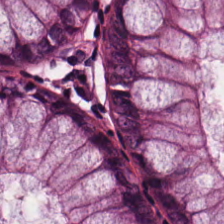H&E stain · FFPE tissue section. Q: What is shown here?
A: It is normal colonic mucosa.
